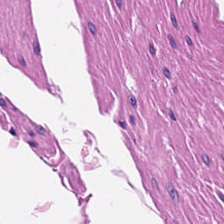Hematoxylin-and-eosin stained section. This patch shows smooth-muscle tissue.
